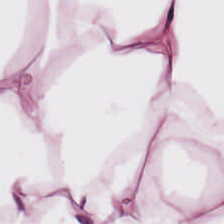H&E. FFPE.
{"tissue_type": "adipocytes"}
